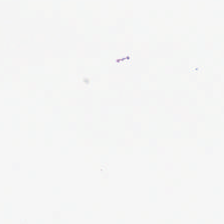H&E stain. Whole-slide-image patch. The content is background.
